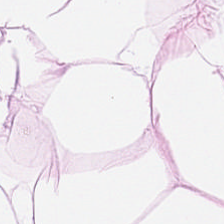Stain: H&E-stained tissue section.
Predominant tissue: adipocytes.
